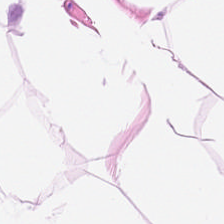224×224 pixel tile; H&E stain — The tissue type is fat tissue.
